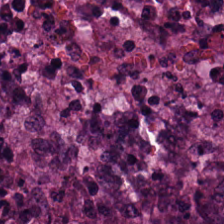The classification is colorectal adenocarcinoma.
